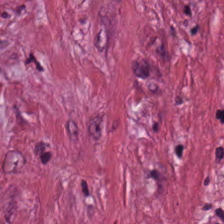Whole-slide-image patch · H&E-stained tissue section · 0.5 µm/px. Classification — desmoplastic stroma.
